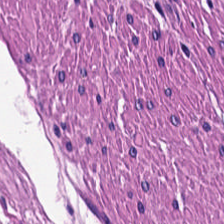H&E stain. {"tissue_type": "muscularis"}
